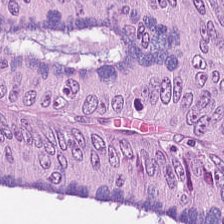H&E-stained tissue section. This patch shows malignant epithelium.
